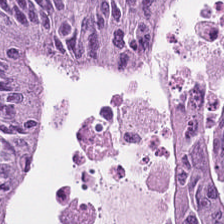H&E — Classification: malignant epithelium.
